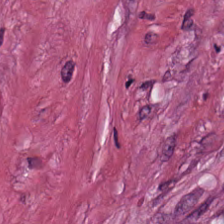Showing desmoplastic stroma.
